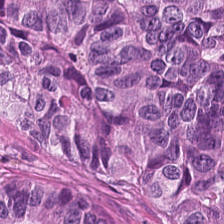H&E-stained tissue section showing colorectal adenocarcinoma.
